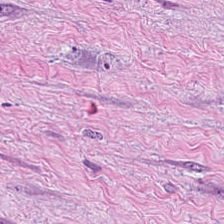H&E stain; 0.5 µm per pixel — {"tissue_type": "cancer-associated stroma"}
